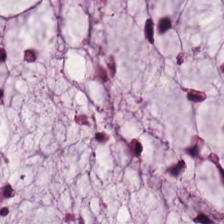Q: What tissue is shown?
A: Mucus.
